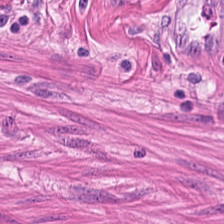Predominant tissue = smooth-muscle tissue.
